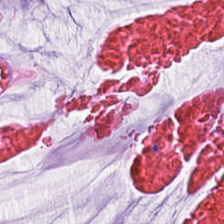Hematoxylin and eosin.
The tissue here is extracellular mucin.
